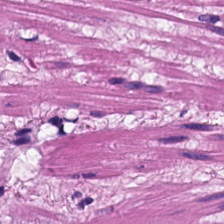0.5 µm/px. H&E stain.
{"tissue_type": "smooth-muscle tissue"}
